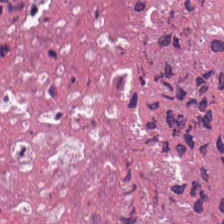0.5 microns per pixel · hematoxylin-and-eosin stained section. Q: What is shown here?
A: Necrotic debris.
